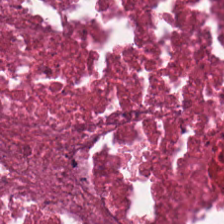The predominant tissue is cellular debris.
